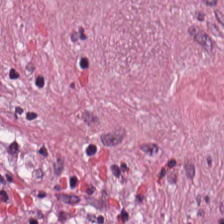FFPE; H&E-stained tissue section. The classification is cancer-associated stroma.
